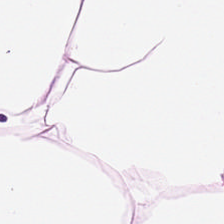H&E stain. Q: What tissue is shown?
A: This is fat tissue.
